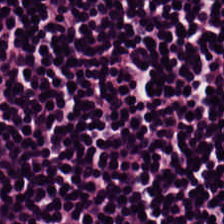Stain: hematoxylin-and-eosin stained section.
Resolution: 0.5 µm/px.
Acquisition: whole-slide-image patch.
Classification: lymphoid infiltrate.
